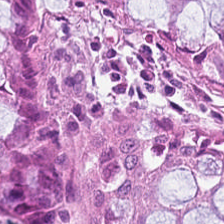Hematoxylin and eosin — This patch shows normal colon mucosa.
